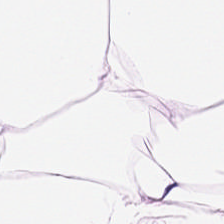Histology — adipose.
